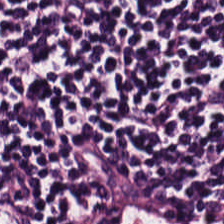Lymphoid infiltrate.
